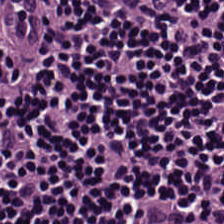0.5 µm/px. H&E stain. Whole-slide-image patch. Tissue type = lymphoid infiltrate.
